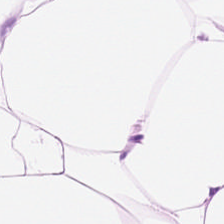Brightfield; hematoxylin-and-eosin stained section.
This patch shows fat tissue.
